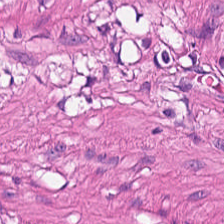Finding → smooth muscle.
